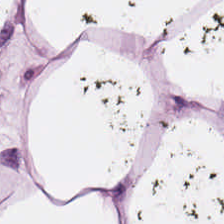0.5 microns per pixel. H&E-stained tissue section — Fat tissue.
